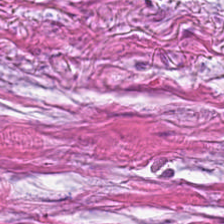H&E stain.
Tissue — tumor stroma.
